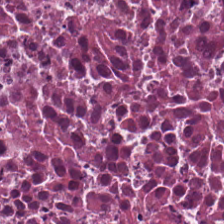Hematoxylin-and-eosin stained section — Tissue class — debris.
